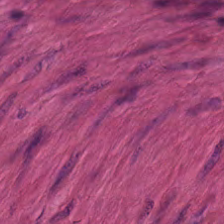Q: What is the predominant tissue type?
A: This is muscularis.
